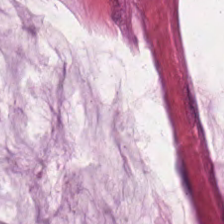224×224 px tile; H&E stain. Q: What type of tissue is this?
A: It is mucin.
